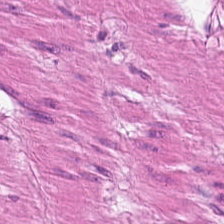Impression → smooth muscle.
